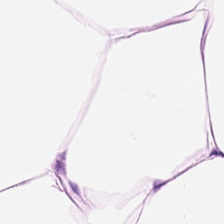224×224 pixel tile. H&E stain.
Classification — adipose tissue.
